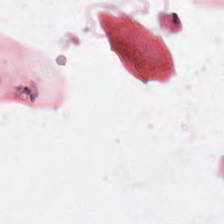Stain: hematoxylin and eosin.
Content: background (no tissue).
